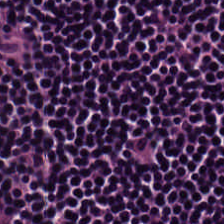FFPE. Hematoxylin and eosin. 224×224 px patch.
Predominant tissue = lymphoid infiltrate.
